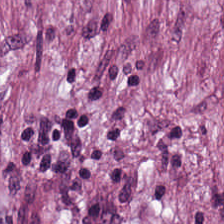{"tissue_type": "tumor stroma"}
